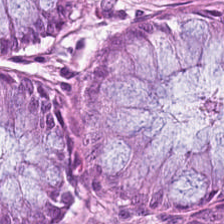Hematoxylin and eosin · 0.5 µm/px · FFPE tissue section — The tissue here is non-neoplastic colon mucosa.
